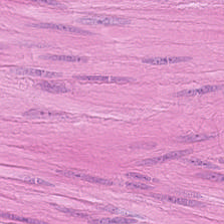Hematoxylin and eosin · whole-slide-image patch. {"tissue_type": "smooth muscle"}
